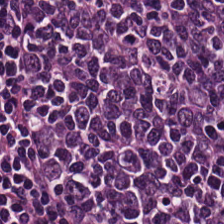Impression → lymphoid infiltrate.
